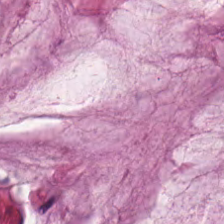Stain: H&E.
Acquisition: brightfield microscopy.
Tissue type: mucin.
